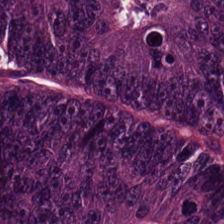Q: What type of tissue is this?
A: It is adenocarcinoma.
